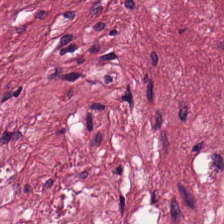This patch shows tumor-associated stroma.
